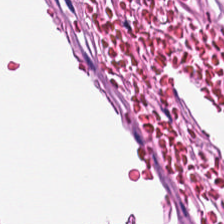Hematoxylin and eosin — The predominant tissue is muscularis.
